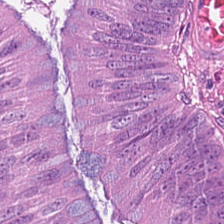Hematoxylin-and-eosin stained section · 224×224 px patch. The predominant tissue is adenocarcinoma.
